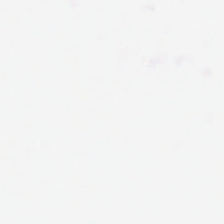H&E · brightfield microscopy · 0.5 microns per pixel. This field is background (no tissue).
